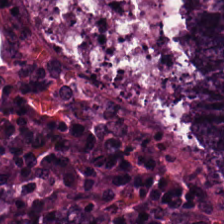Tissue type: colorectal adenocarcinoma epithelium.
